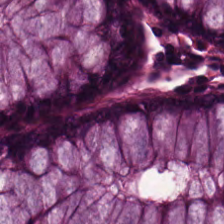Q: What is shown in this field?
A: It is normal colonic mucosa.
